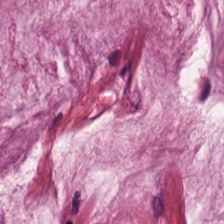Stain: H&E stain.
Predominant tissue: mucus.
